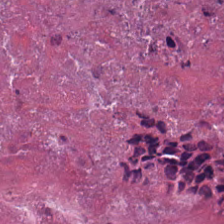H&E-stained tissue section.
This patch shows necrotic debris.
